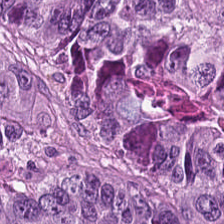H&E stain · 20× equivalent magnification — The tissue here is adenocarcinoma.
